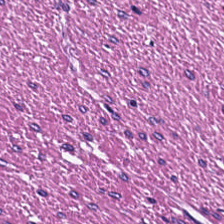Predominantly muscularis.
